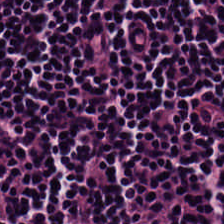Hematoxylin-and-eosin stained section; brightfield microscopy.
Histology — lymphocyte aggregate.
